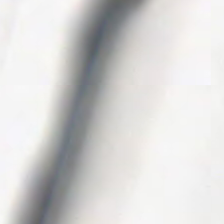0.5 microns per pixel; hematoxylin and eosin; whole-slide-image patch.
Histology — empty background.
